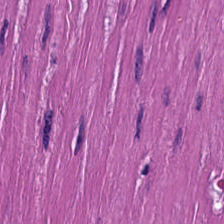H&E stain — Classification — smooth-muscle tissue.
